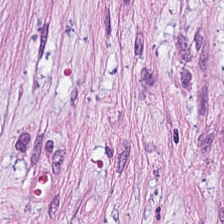H&E stain — Tissue: desmoplastic stroma.
